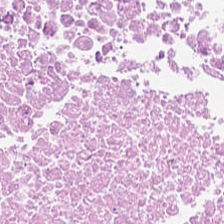H&E-stained tissue section. Q: What is shown here?
A: The field shows debris.
